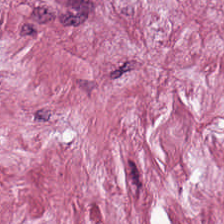H&E-stained tissue section · formalin-fixed paraffin-embedded section. Showing tumor-associated stroma.
